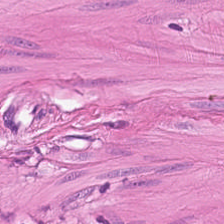H&E — {"tissue_type": "smooth muscle"}
